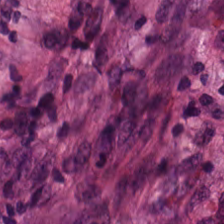Hematoxylin and eosin. Finding → tumor stroma.
